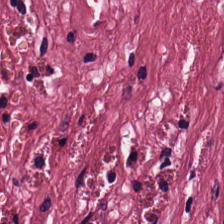H&E — tumor stroma.
